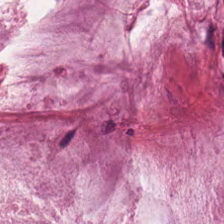H&E. Formalin-fixed paraffin-embedded section. WSI patch — This patch shows mucin.
